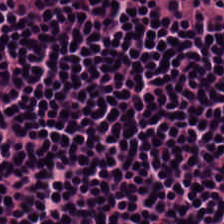H&E stain — This field is lymphoid infiltrate.
